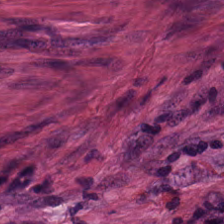Stain: H&E-stained tissue section.
Tissue class: cancer-associated stroma.
